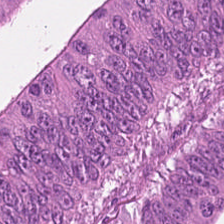H&E-stained tissue section. Brightfield — This field is colorectal adenocarcinoma epithelium.
